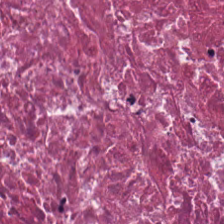Hematoxylin and eosin.
Tissue class: necrotic debris.
